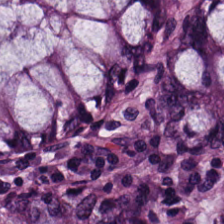Classification — normal colonic mucosa.
